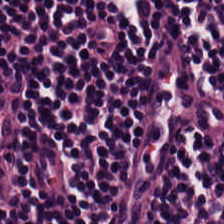Hematoxylin-and-eosin stained section. Tissue type — lymphocyte aggregate.
